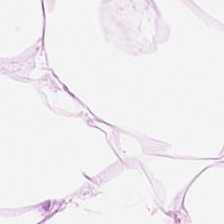Hematoxylin-and-eosin stained section. Tissue class — adipocytes.
